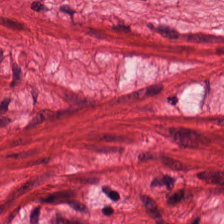H&E stain. 224×224 pixel tile. Muscularis.
